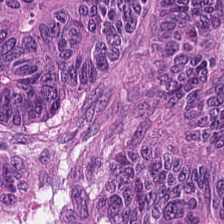Hematoxylin and eosin.
Q: What is shown here?
A: Tumor epithelium.
